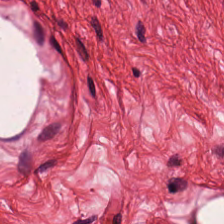H&E; 224×224 px patch.
Q: What tissue type is shown here?
A: The field shows muscularis.
